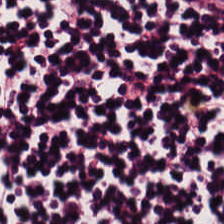Showing lymphoid infiltrate.
